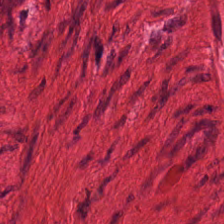Hematoxylin-and-eosin stained section. 0.5 microns per pixel.
{"tissue_type": "smooth muscle"}
